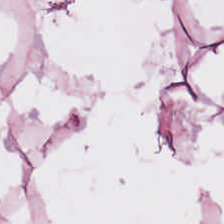H&E-stained tissue section. 0.5 µm/px. FFPE tissue section — Predominant tissue = adipocytes.
